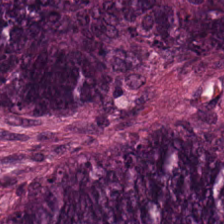Tissue: colorectal adenocarcinoma epithelium.
